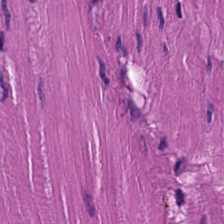WSI patch · hematoxylin and eosin.
Finding → smooth muscle.
